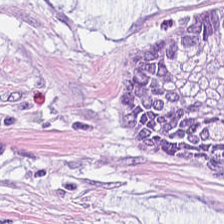Whole-slide-image patch · hematoxylin-and-eosin stained section — Classification: extracellular mucin.
